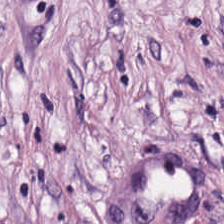20× equivalent magnification. 224×224 pixel tile. H&E-stained tissue section.
Predominantly tumor stroma.
